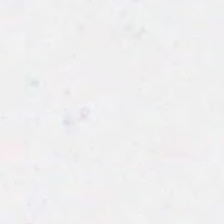Content = background (no tissue).
